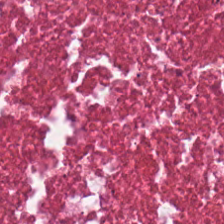Hematoxylin and eosin. Predominantly debris.
